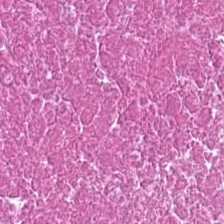H&E-stained tissue section — Finding → cellular debris.
